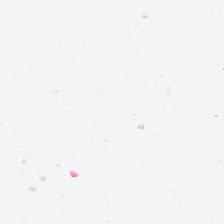H&E-stained tissue section. Finding — no tissue.
